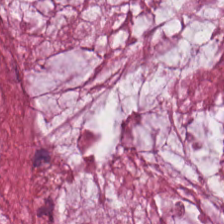Hematoxylin-and-eosin section: mucus.
